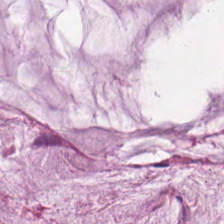H&E stain — Tissue type — extracellular mucin.
